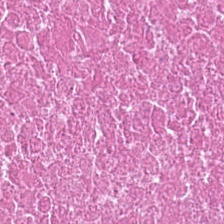Hematoxylin and eosin · whole-slide-image patch — Cellular debris.
